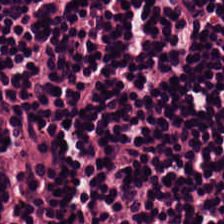H&E stain — The predominant tissue is lymphocytes.
